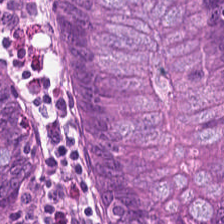H&E stain.
Tissue class: normal colon mucosa.
